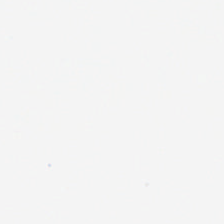H&E-stained tissue section. 0.5 µm/px — This field is background (no tissue).
